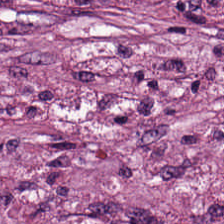Hematoxylin and eosin.
Tumor-associated stroma.
